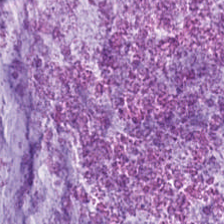The predominant tissue is mucus.
